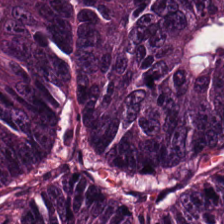H&E. Formalin-fixed paraffin-embedded section — The predominant tissue is malignant epithelium.
